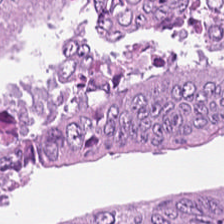20× equivalent magnification. H&E stain.
Tissue type — malignant epithelium.
